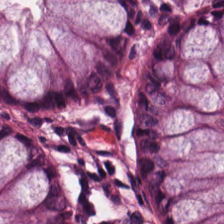H&E stain — Finding — benign colonic mucosa.
